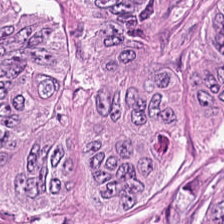0.5 µm/px. Hematoxylin-and-eosin stained section. FFPE. Q: What is the predominant tissue type?
A: This is malignant epithelium.
